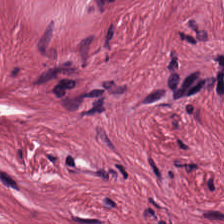Brightfield microscopy. H&E-stained tissue section.
This patch shows tumor-associated stroma.
